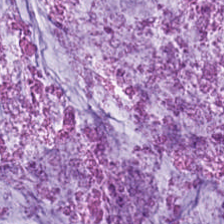Q: Classify this patch.
A: It is extracellular mucin.
